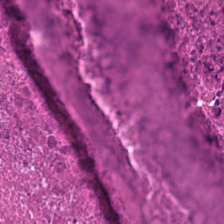H&E-stained tissue section. Classification — cellular debris.
